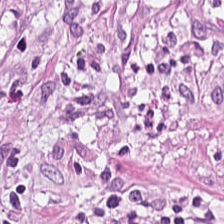0.5 µm/px. H&E. Q: Classify this patch.
A: Tumor-associated stroma.
